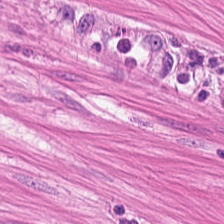Hematoxylin-and-eosin stained section · FFPE — Finding → smooth muscle.
